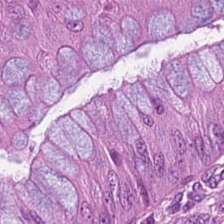Hematoxylin and eosin. 0.5 µm per pixel — Tissue type = colorectal adenocarcinoma.
